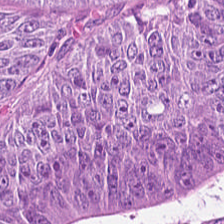{"tissue_type": "colorectal adenocarcinoma epithelium"}
